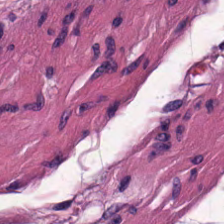Hematoxylin-and-eosin stained section — Predominantly muscularis.
